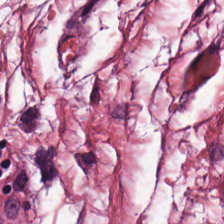H&E-stained tissue section.
Q: What is shown in this field?
A: This is tumor-associated stroma.
